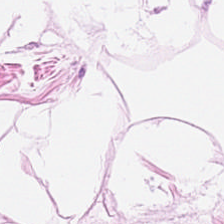224×224 px patch. H&E stain — Tissue class = adipose tissue.
